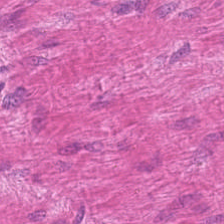Hematoxylin-and-eosin stained section · brightfield microscopy — Showing smooth-muscle tissue.
